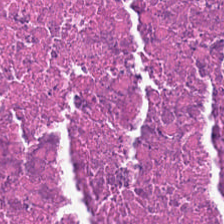Stain: H&E.
Tissue: debris.
